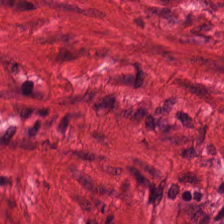0.5 µm per pixel · H&E — The tissue class is smooth-muscle tissue.
